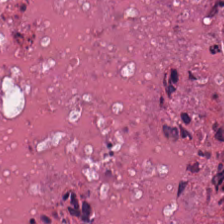Hematoxylin and eosin.
Q: What does this patch show?
A: This is debris.
